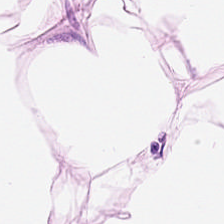Brightfield microscopy; FFPE tissue section; hematoxylin and eosin. Fat tissue.
